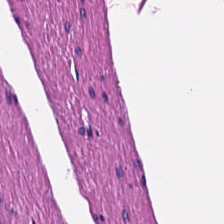Hematoxylin and eosin. 0.5 microns per pixel. 224×224 px tile.
This patch shows smooth-muscle tissue.
